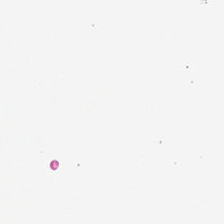Hematoxylin-and-eosin stained section. 224×224 pixel tile. Brightfield — Q: What is shown in this field?
A: It is no tissue.
